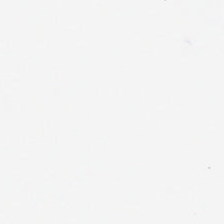Field content — no tissue.
